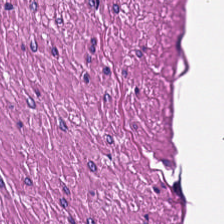Stain: H&E-stained tissue section.
Resolution: 0.5 microns per pixel.
Tile size: 224×224 px patch.
Tissue type: muscularis.
